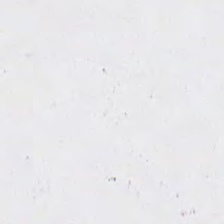Hematoxylin and eosin; FFPE — Content — background (no tissue).
